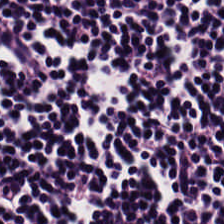Brightfield · hematoxylin-and-eosin stained section.
The tissue here is lymphocytes.
